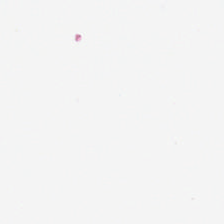H&E. Empty field — background.
